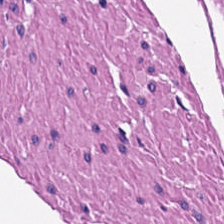Q: Identify the tissue.
A: Muscularis.
